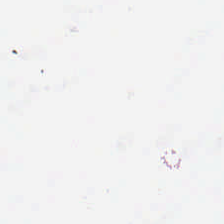Hematoxylin and eosin.
The classification is background.
